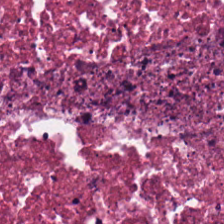H&E.
Tissue — necrotic debris.
